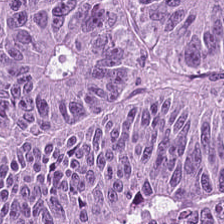Stain: H&E-stained tissue section.
Tissue class: colorectal adenocarcinoma epithelium.
